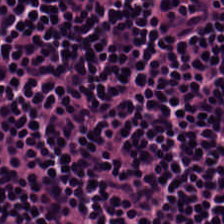H&E stain. Q: What does this patch show?
A: It is lymphocyte aggregate.
